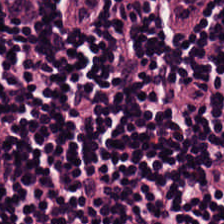H&E-stained tissue section. 224×224 px tile.
Q: What does this patch show?
A: It is lymphocytic infiltrate.
